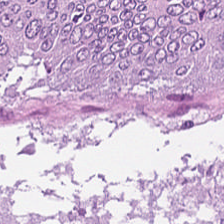Hematoxylin and eosin. Q: What is shown in this field?
A: It is tumor epithelium.
